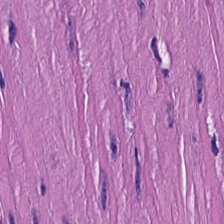FFPE; hematoxylin and eosin; brightfield. Q: Identify the tissue.
A: Smooth-muscle tissue.
